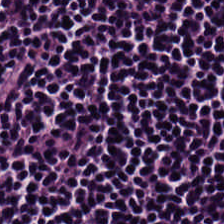{"tissue_type": "lymphocyte aggregate"}
